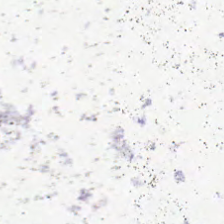The classification is no tissue.
